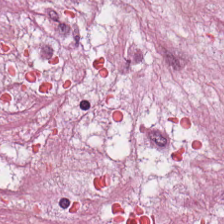Predominantly tumor stroma.
